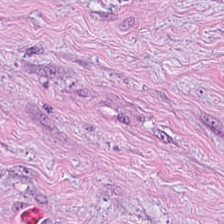Stain: H&E.
Tissue: tumor stroma.
